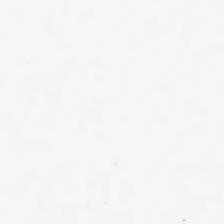No tissue.
